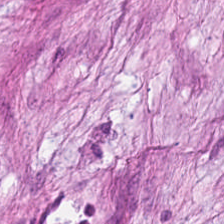Hematoxylin and eosin — The tissue here is tumor-associated stroma.
